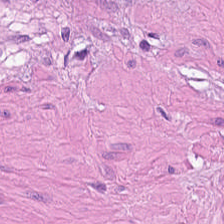Histology — muscularis.
